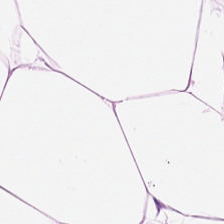0.5 µm per pixel · hematoxylin and eosin.
{"tissue_type": "adipose"}
